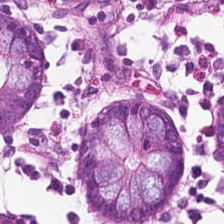Hematoxylin and eosin.
Classification: normal colonic mucosa.
